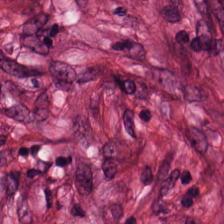Hematoxylin and eosin.
Classification = cancer-associated stroma.
